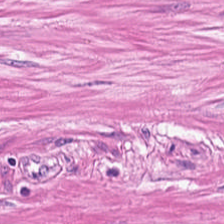H&E-stained tissue section · 0.5 µm per pixel · formalin-fixed paraffin-embedded section. The tissue here is smooth muscle.
